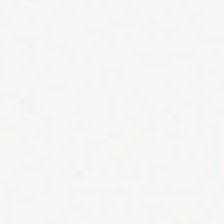H&E. Q: Classify this patch.
A: This is background.
